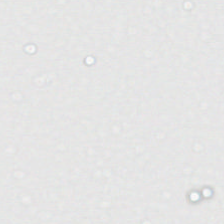H&E.
Q: What is shown in this field?
A: This is background (no tissue).
